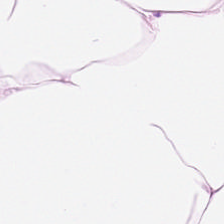H&E stain.
This field is fat tissue.
